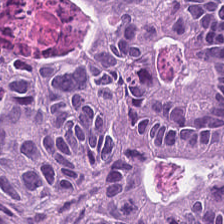Hematoxylin-and-eosin stained section. Q: What does this patch show?
A: The field shows colorectal adenocarcinoma.
